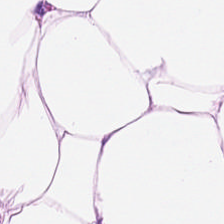H&E-stained tissue section — Finding — adipocytes.
